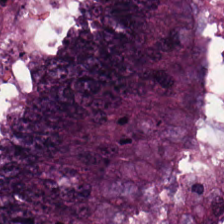FFPE. Brightfield. Hematoxylin-and-eosin stained section — The predominant tissue is adenocarcinoma.
